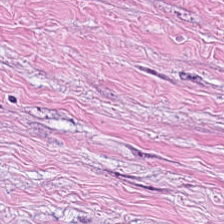Stain: H&E-stained tissue section.
Acquisition: whole-slide-image patch.
Resolution: 0.5 µm per pixel.
Tissue type: cancer-associated stroma.
